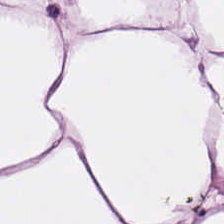0.5 microns per pixel · FFPE · hematoxylin and eosin.
This patch shows adipose tissue.
